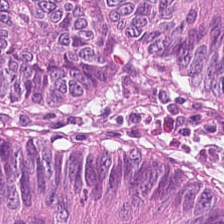0.5 µm/px · hematoxylin and eosin · brightfield. The predominant tissue is colorectal adenocarcinoma.
